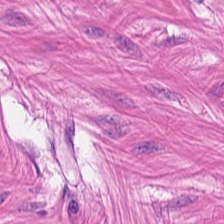Hematoxylin-and-eosin stained section.
Tissue type: muscularis.
